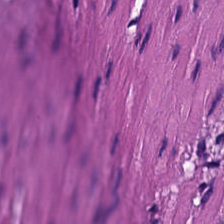Finding — smooth muscle.
